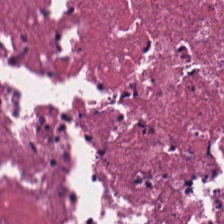Brightfield microscopy; H&E. Tissue type — cellular debris.
